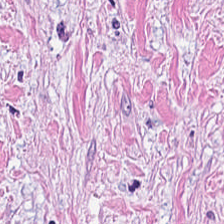224×224 pixel tile; 20× equivalent magnification; H&E-stained tissue section. The predominant tissue is tumor stroma.
